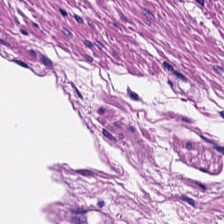H&E stain. Q: What tissue is shown?
A: It is muscularis.
